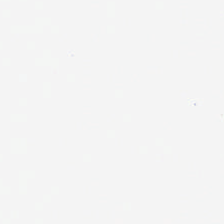Hematoxylin and eosin.
The content is background (no tissue).
